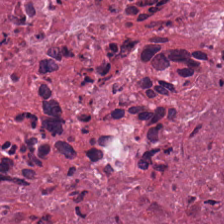H&E-stained tissue section. FFPE. Classification = cellular debris.
